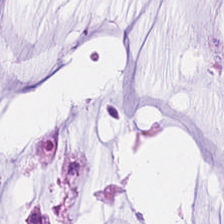Hematoxylin and eosin.
Q: What tissue type is shown here?
A: This is mucus.
